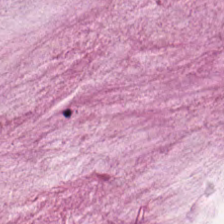20× equivalent magnification · FFPE tissue section · hematoxylin and eosin. The predominant tissue is extracellular mucin.
